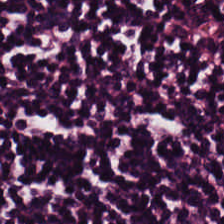H&E stain — Classification: lymphoid infiltrate.
